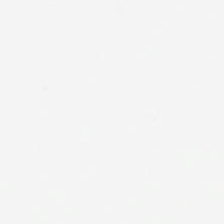Whole-slide-image patch; FFPE tissue section; hematoxylin-and-eosin stained section.
The classification is empty background.
